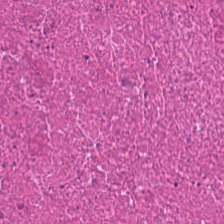Predominantly cellular debris.
